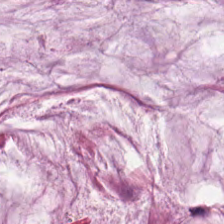The tissue is mucin.
